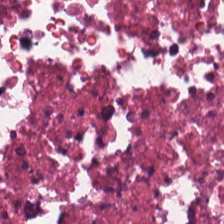Brightfield. Hematoxylin-and-eosin stained section. The predominant tissue is cellular debris.
